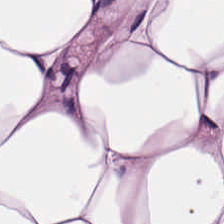Showing adipose.
